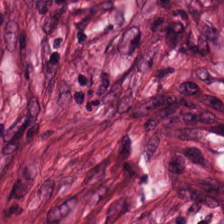Histology — cancer-associated stroma.
